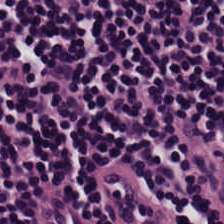Hematoxylin and eosin; FFPE tissue section. Predominantly lymphocyte aggregate.
